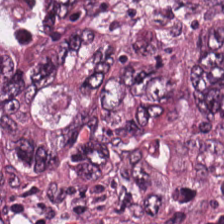Predominantly malignant epithelium.
